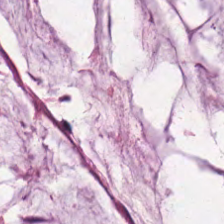Q: What is shown in this field?
A: It is mucin.
